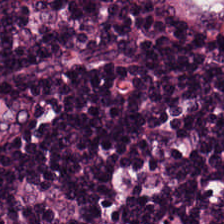FFPE tissue section; hematoxylin-and-eosin stained section.
Q: Identify the tissue.
A: This is lymphocyte aggregate.
